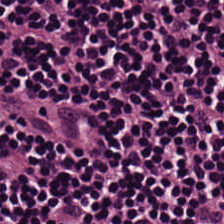H&E-stained tissue section; formalin-fixed paraffin-embedded section — The predominant tissue is lymphocyte aggregate.
